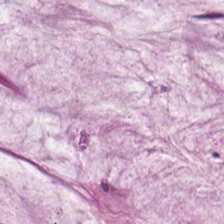Hematoxylin and eosin.
Q: What tissue is shown?
A: This is extracellular mucin.
